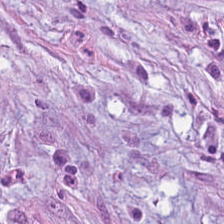Predominantly tumor-associated stroma.
